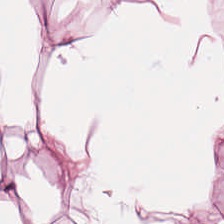Hematoxylin-and-eosin stained section. Adipocytes.
